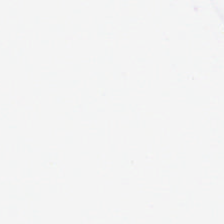Hematoxylin and eosin.
Q: What is shown in this field?
A: It is background (no tissue).
